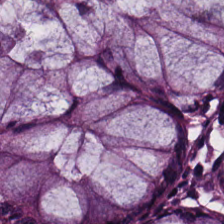Hematoxylin-and-eosin stained section. 224×224 px tile — This patch shows normal colon mucosa.
